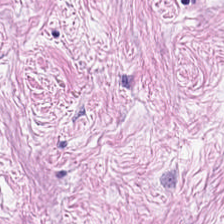Hematoxylin-and-eosin stained section — Classification — tumor-associated stroma.
